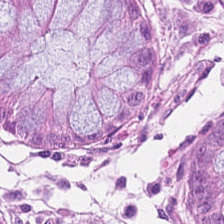FFPE tissue section; H&E stain. Benign colonic mucosa.
